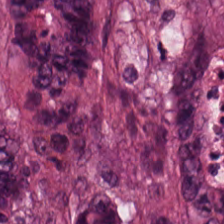0.5 µm per pixel. H&E-stained tissue section.
Adenocarcinoma.
